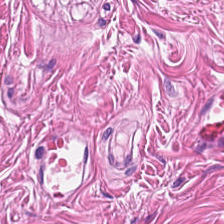Q: Classify this patch.
A: The field shows smooth-muscle tissue.
